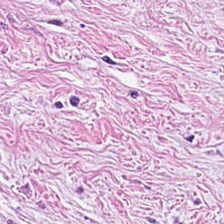Stain: H&E stain.
Preparation: formalin-fixed paraffin-embedded section.
Tissue class: tumor stroma.
